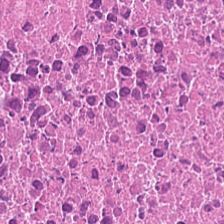H&E.
Predominantly debris.
